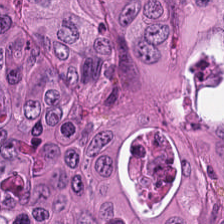H&E-stained tissue section — This patch shows adenocarcinoma.
